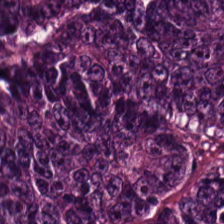Hematoxylin-and-eosin stained section · brightfield microscopy.
Q: Identify the tissue.
A: This is colorectal adenocarcinoma.
